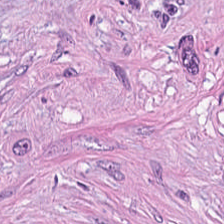The predominant tissue is tumor-associated stroma.
